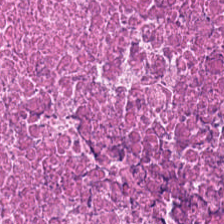H&E-stained tissue section; FFPE — Predominantly necrotic debris.
